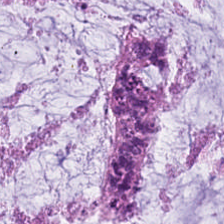Classification = extracellular mucin.
